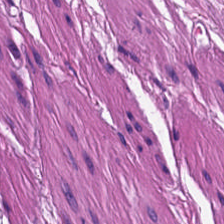FFPE tissue section · whole-slide-image patch · H&E.
Muscularis.
